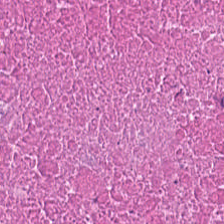Hematoxylin and eosin; brightfield microscopy — The tissue class is necrotic debris.
